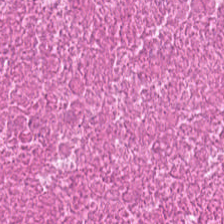Predominant tissue = necrotic debris.
